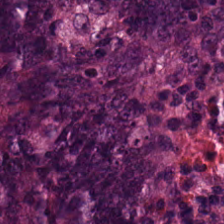H&E. 0.5 microns per pixel.
The tissue type is colorectal adenocarcinoma.
